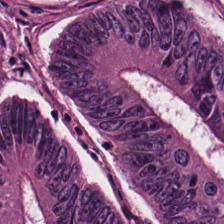FFPE; hematoxylin-and-eosin stained section; 0.5 microns per pixel.
Showing tumor epithelium.
